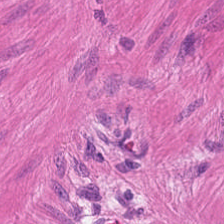224×224 px patch; hematoxylin-and-eosin stained section. Predominant tissue: muscularis.
